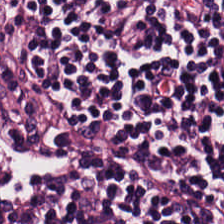Stain: hematoxylin-and-eosin stained section.
Acquisition: WSI patch.
Tile size: 224×224 pixel tile.
Classification: lymphocyte aggregate.
